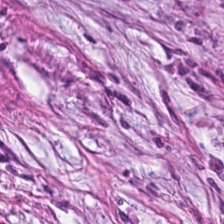Q: Identify the tissue.
A: Desmoplastic stroma.
